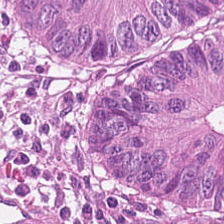Hematoxylin-and-eosin stained section. Finding → colorectal adenocarcinoma epithelium.
